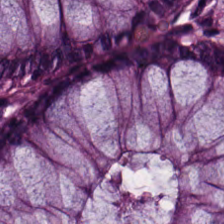Classification — benign colonic mucosa.
